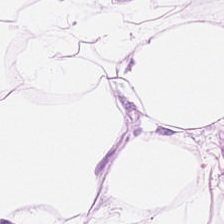Hematoxylin and eosin.
Impression → adipose tissue.
